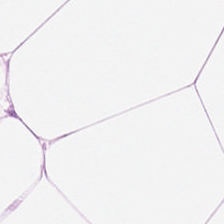Impression → fat tissue.
